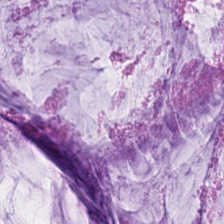H&E. The predominant tissue is mucin.
